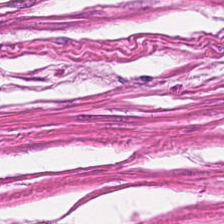This patch shows smooth muscle.
